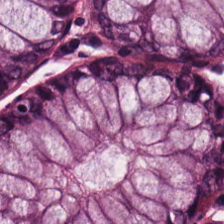Finding → non-neoplastic colon mucosa.
